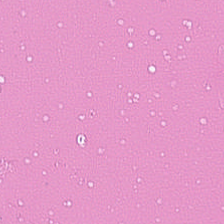H&E. The predominant tissue is debris.
